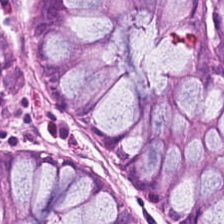H&E patch showing non-neoplastic colon mucosa.
